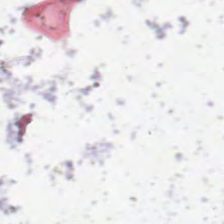0.5 µm per pixel. Hematoxylin and eosin. Brightfield microscopy.
Classification: background.
